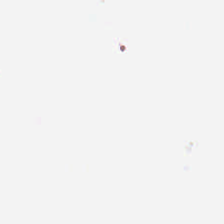Hematoxylin and eosin.
Background (no tissue).
